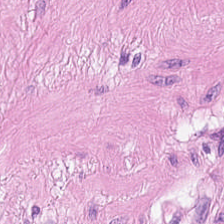H&E. Impression — smooth muscle.
